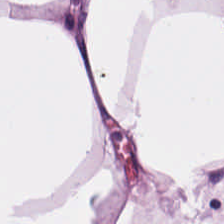H&E.
Showing adipose.
